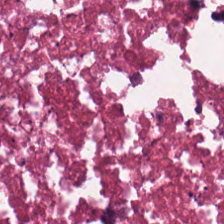H&E stain.
The predominant tissue is necrotic debris.
